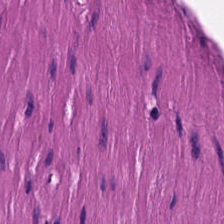Hematoxylin-and-eosin stained section. Impression — smooth muscle.
